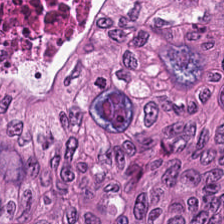Hematoxylin and eosin. Q: What tissue type is shown here?
A: The field shows adenocarcinoma.
